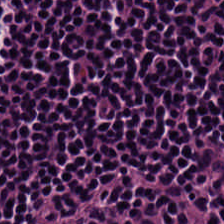Stain: H&E-stained tissue section.
Acquisition: whole-slide-image patch.
Predominant tissue: lymphoid infiltrate.
